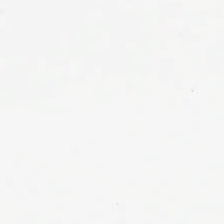Stain: H&E.
Classification: background.
